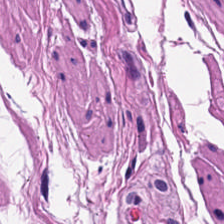H&E · 224×224 px tile — {"tissue_type": "smooth muscle"}
